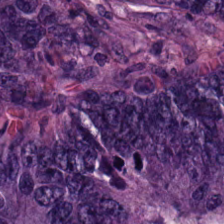Stain: H&E stain.
Classification: malignant epithelium.
